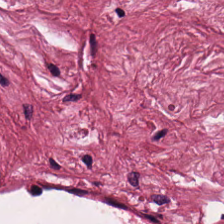Formalin-fixed paraffin-embedded section; hematoxylin and eosin. Q: What is the predominant tissue type?
A: This is desmoplastic stroma.
